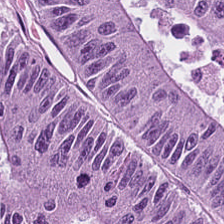H&E.
Impression — tumor epithelium.
